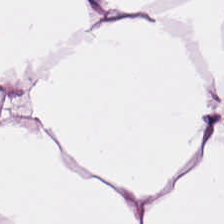Hematoxylin and eosin.
Tissue — adipose.
